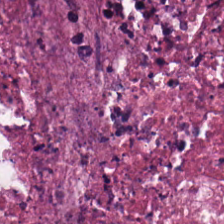Q: What tissue is shown?
A: Necrotic debris.
